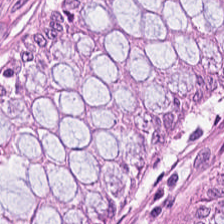H&E stain — Tissue type — non-neoplastic colon mucosa.
